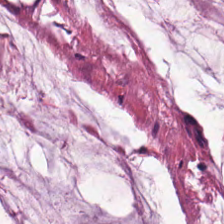H&E-stained tissue section.
Finding — mucin.
